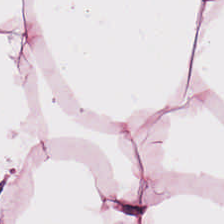H&E stain.
The predominant tissue is adipose.
